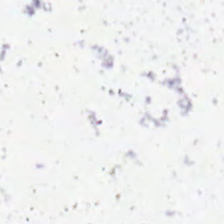Classification: background.
